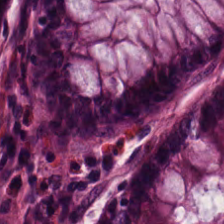Formalin-fixed paraffin-embedded section. Hematoxylin-and-eosin stained section. Q: What tissue type is shown here?
A: The field shows normal colonic mucosa.
